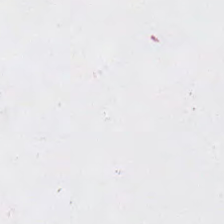This patch shows no tissue.
